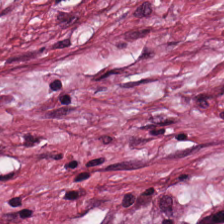Q: What type of tissue is this?
A: Tumor-associated stroma.
